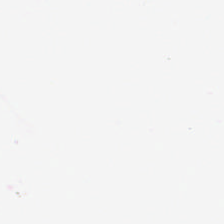224×224 px tile; FFPE; H&E-stained tissue section — This patch shows empty background.
